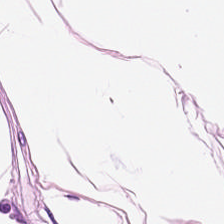Stain: H&E.
Tissue: adipocytes.
